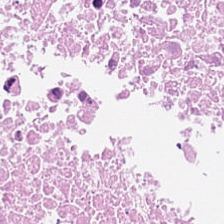Stain: H&E stain.
Preparation: formalin-fixed paraffin-embedded section.
Tissue class: cellular debris.
